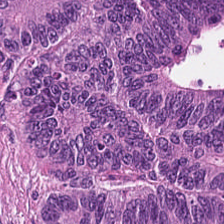H&E-stained tissue section · formalin-fixed paraffin-embedded section · 0.5 µm/px.
This field is colorectal adenocarcinoma epithelium.
